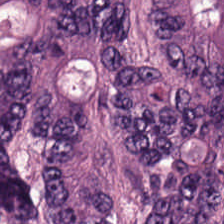FFPE tissue section · hematoxylin-and-eosin stained section.
Showing colorectal adenocarcinoma epithelium.
